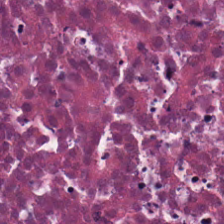H&E-stained tissue section; 224×224 pixel tile. Q: What is shown in this field?
A: This is cellular debris.
